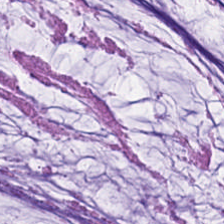H&E.
Showing extracellular mucin.
